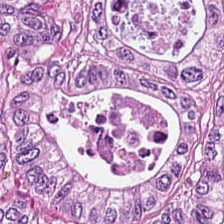Hematoxylin-and-eosin stained section — Q: Identify the tissue.
A: Malignant epithelium.
